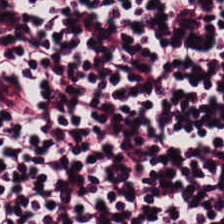Hematoxylin-and-eosin section: lymphoid infiltrate.
